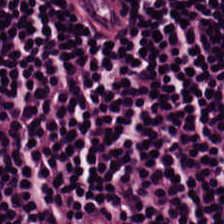0.5 µm per pixel · hematoxylin and eosin · brightfield.
Q: What is the predominant tissue type?
A: It is lymphocytes.
